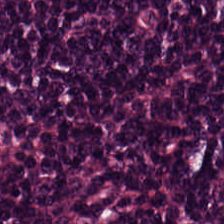H&E-stained tissue section · 224×224 px tile. Showing lymphocyte aggregate.
